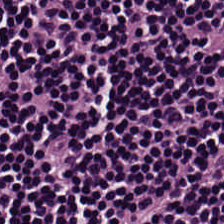Hematoxylin-and-eosin stained section.
The tissue class is lymphocytes.
